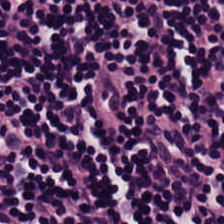H&E-stained section; the field shows lymphocytic infiltrate.
